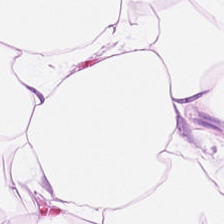H&E-stained tissue section — Classification: adipocytes.
